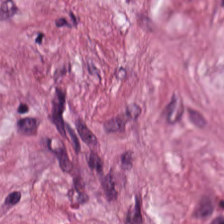Finding — cancer-associated stroma.
